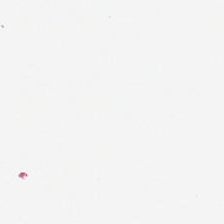Stain: H&E.
Preparation: FFPE.
Resolution: 0.5 µm/px.
Field content: background (no tissue).
